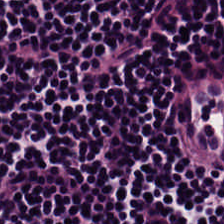Brightfield microscopy · H&E stain · 224×224 px patch. {"tissue_type": "lymphocyte aggregate"}
